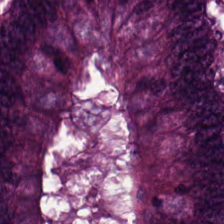Stain: H&E.
Classification: adenocarcinoma.
